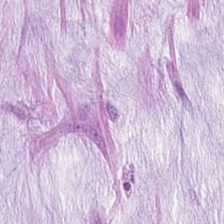Predominantly mucus.
